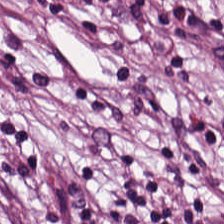Hematoxylin-and-eosin stained section — The predominant tissue is tumor stroma.
